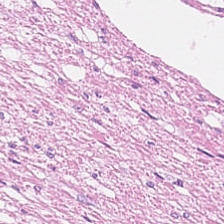Classification: smooth muscle.
